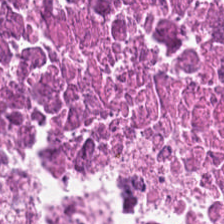0.5 µm per pixel · 224×224 px patch · H&E stain.
Predominant tissue — cellular debris.
